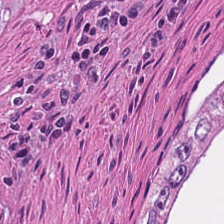H&E-stained tissue section — This patch shows cellular debris.
